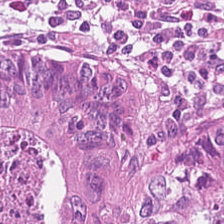H&E-stained tissue section. Tissue: colorectal adenocarcinoma epithelium.
